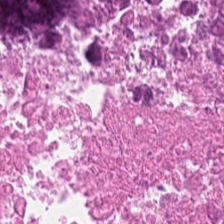Stain: hematoxylin and eosin.
Resolution: 0.5 µm/px.
Preparation: FFPE tissue section.
Tissue type: debris.
